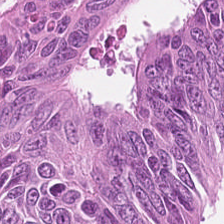Q: Classify this patch.
A: The field shows malignant epithelium.
